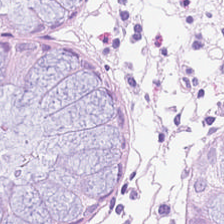H&E stain · brightfield. The predominant tissue is benign colonic mucosa.
